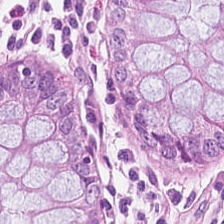0.5 µm/px. H&E-stained tissue section. Formalin-fixed paraffin-embedded section. Classification = normal colonic mucosa.
